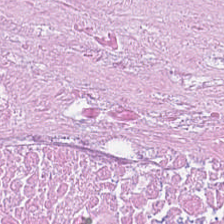Stain: H&E-stained tissue section.
Preparation: formalin-fixed paraffin-embedded section.
Tissue class: debris.
